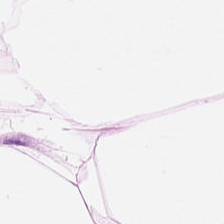H&E-stained tissue section.
Impression — fat tissue.
